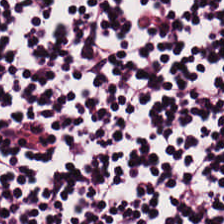Brightfield · H&E-stained tissue section · 0.5 µm per pixel.
Tissue class: lymphocyte aggregate.
